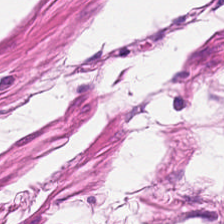Hematoxylin and eosin. The tissue here is smooth muscle.
